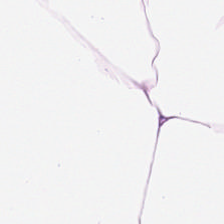H&E-stained tissue section. This field is adipocytes.
